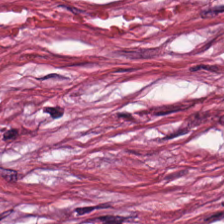Hematoxylin and eosin; 0.5 microns per pixel.
Finding → tumor-associated stroma.
